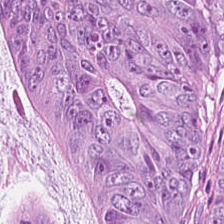H&E-stained section; the field shows tumor epithelium.
